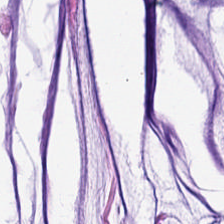H&E patch showing mucin.
